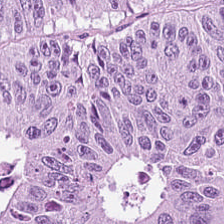Stain: H&E-stained tissue section.
Predominant tissue: colorectal adenocarcinoma epithelium.
